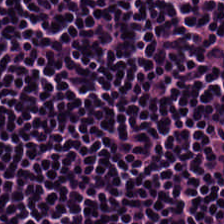FFPE · 0.5 microns per pixel · hematoxylin-and-eosin stained section. Q: What is shown in this field?
A: This is lymphoid infiltrate.
